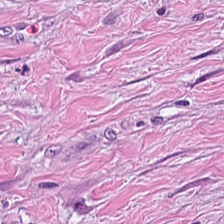0.5 microns per pixel; formalin-fixed paraffin-embedded section; H&E-stained tissue section.
Q: What tissue is shown?
A: This is cancer-associated stroma.
